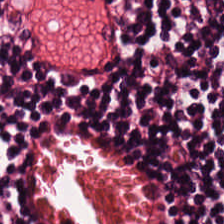The predominant tissue is lymphocyte aggregate.
